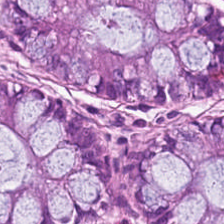Hematoxylin and eosin.
The tissue here is benign colonic mucosa.
